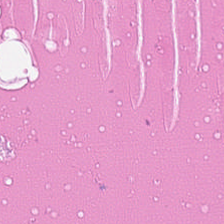Predominant tissue: debris.
